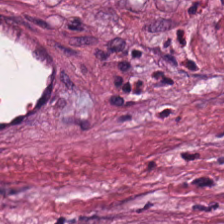H&E.
The predominant tissue is cancer-associated stroma.
